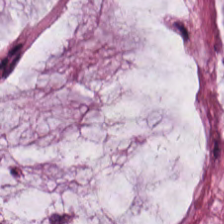H&E-stained tissue section. 224×224 px tile — Q: What is shown here?
A: This is mucin.
